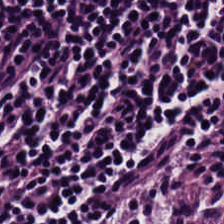Hematoxylin and eosin — The predominant tissue is lymphocytes.
